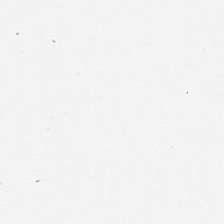Stain: H&E.
Field content: background (no tissue).
